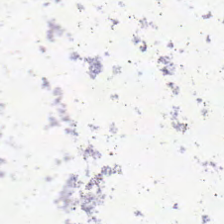H&E-stained tissue section.
This patch shows background (no tissue).
